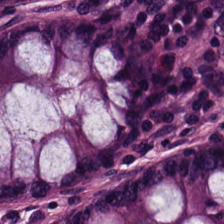Hematoxylin and eosin — Q: What tissue type is shown here?
A: This is normal colonic mucosa.
